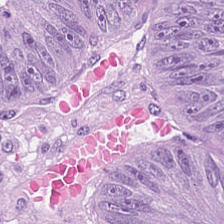{"tissue_type": "malignant epithelium"}
